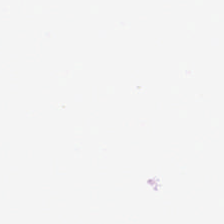This patch shows empty background.
